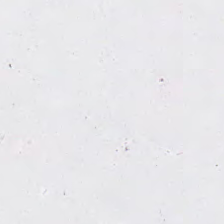Formalin-fixed paraffin-embedded section. H&E-stained tissue section. Field content = empty background.
